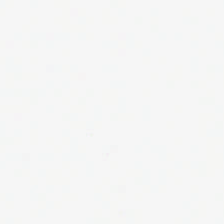Q: What is shown here?
A: The field shows empty background.
